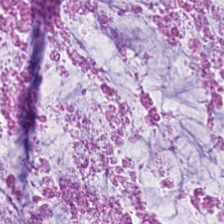Q: What type of tissue is this?
A: The field shows extracellular mucin.
